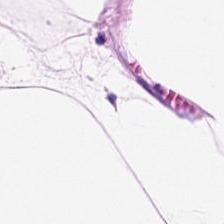Stain: H&E.
Tile size: 224×224 px patch.
Tissue type: adipocytes.
